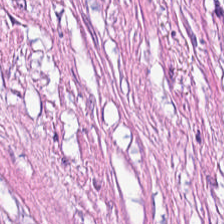This patch shows desmoplastic stroma.
